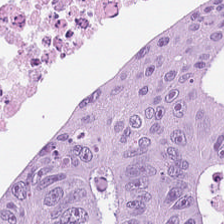Hematoxylin and eosin · FFPE tissue section.
Tissue type — colorectal adenocarcinoma.
